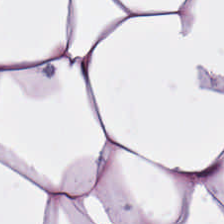Hematoxylin and eosin — Predominantly adipocytes.
